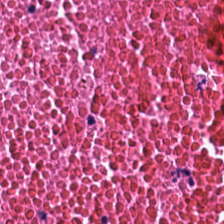H&E-stained tissue section.
This field is debris.
